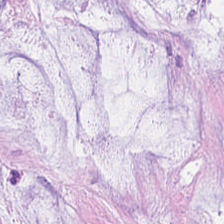H&E-stained tissue section — Histology — extracellular mucin.
